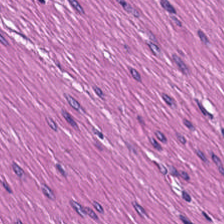FFPE. H&E-stained tissue section. Impression — muscularis.
